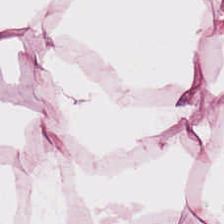H&E. Tissue = adipocytes.
